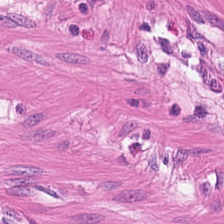Stain: hematoxylin and eosin.
Tissue type: smooth-muscle tissue.
